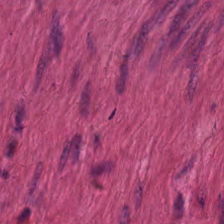The tissue is muscularis.
